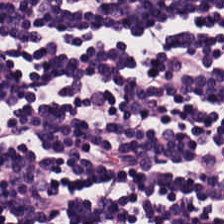Hematoxylin and eosin.
This field is lymphocytic infiltrate.
